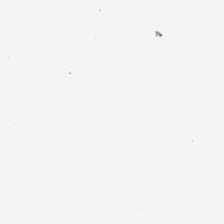H&E — Q: What is shown here?
A: It is no tissue.
